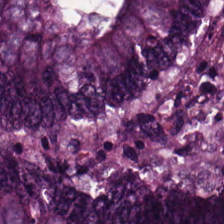Hematoxylin and eosin.
This patch shows adenocarcinoma.
